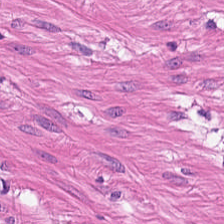0.5 µm/px; H&E-stained tissue section.
Tissue — muscularis.
